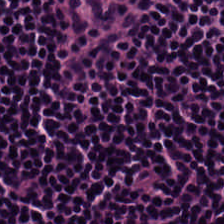Hematoxylin and eosin; WSI patch.
Q: What is the predominant tissue type?
A: It is lymphoid infiltrate.
